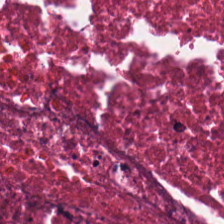Q: What tissue is shown?
A: It is necrotic debris.
